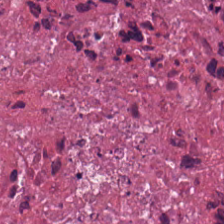H&E-stained tissue section. This field is cellular debris.
